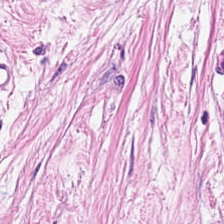H&E-stained tissue section; 224×224 px patch. Impression — tumor-associated stroma.
